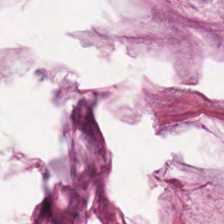The predominant tissue is extracellular mucin.
